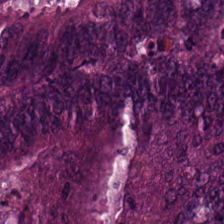H&E stain.
The tissue type is colorectal adenocarcinoma epithelium.
